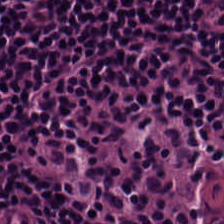Hematoxylin and eosin — Classification — lymphocyte aggregate.
